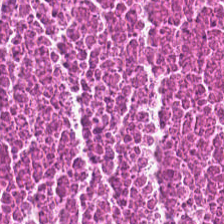0.5 microns per pixel. H&E. Showing debris.
